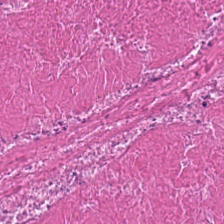H&E-stained tissue section; 0.5 microns per pixel; 224×224 px tile.
The predominant tissue is necrotic debris.
